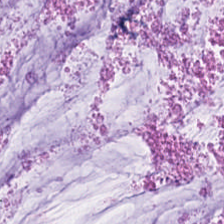H&E stain · FFPE tissue section.
Tissue type — extracellular mucin.
